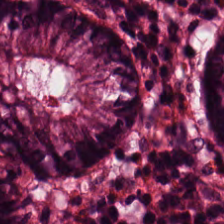Formalin-fixed paraffin-embedded section · H&E-stained tissue section.
Predominant tissue — benign colonic mucosa.
